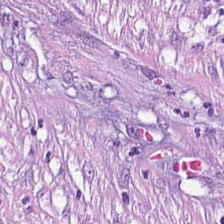Cancer-associated stroma.
